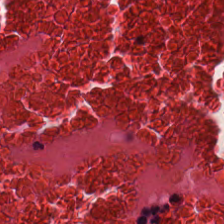Stain: hematoxylin-and-eosin stained section.
Tissue: necrotic debris.
